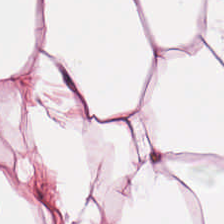Hematoxylin and eosin — Q: What tissue type is shown here?
A: The field shows adipose tissue.
